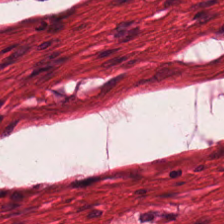H&E stain. Showing smooth-muscle tissue.
